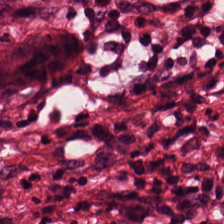Stain: H&E stain.
Tissue: desmoplastic stroma.
